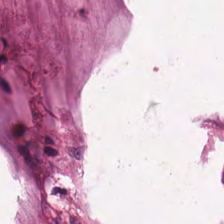Stain: H&E stain.
Classification: mucus.
